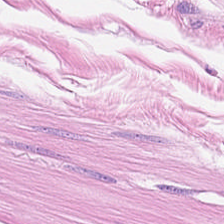0.5 µm/px; H&E stain; formalin-fixed paraffin-embedded section.
This field is smooth-muscle tissue.
